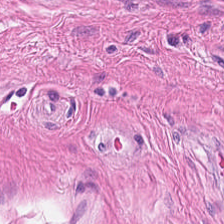Hematoxylin and eosin · 0.5 µm per pixel — The predominant tissue is smooth muscle.
